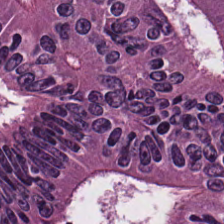Classification = colorectal adenocarcinoma.
